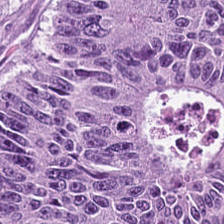Hematoxylin and eosin · brightfield microscopy.
Classification: malignant epithelium.
